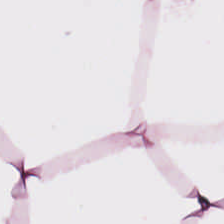H&E. The tissue here is adipose.
